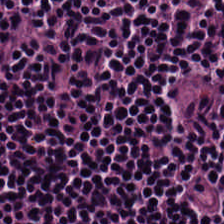The tissue is lymphoid infiltrate.
